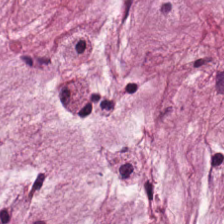H&E-stained tissue section — Tissue type — mucus.
